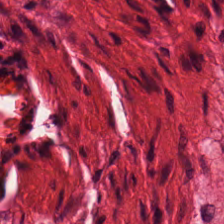H&E patch showing muscularis.
